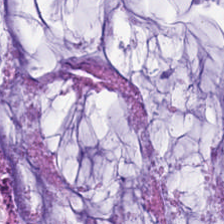WSI patch · H&E-stained tissue section.
Showing mucin.
